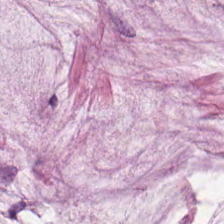Hematoxylin and eosin; FFPE tissue section; 224×224 px tile. Q: What tissue type is shown here?
A: It is mucus.
